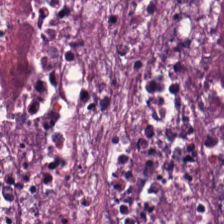H&E-stained tissue section.
Cellular debris.
